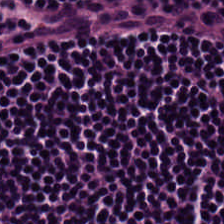Showing lymphocytic infiltrate.
